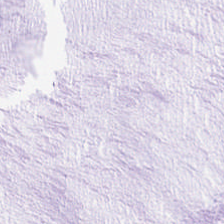Hematoxylin-and-eosin stained section · FFPE tissue section.
Showing mucin.
